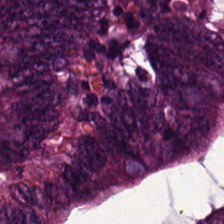H&E-stained tissue section. The classification is adenocarcinoma.
